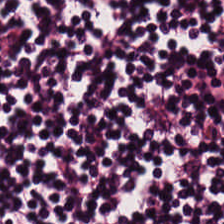Stain: H&E.
Tile size: 224×224 px tile.
Preparation: formalin-fixed paraffin-embedded section.
Predominant tissue: lymphocyte aggregate.
